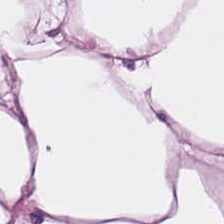Hematoxylin and eosin; 224×224 px patch; FFPE. Classification — adipose.
